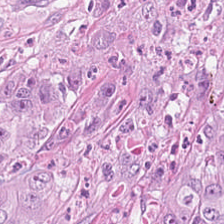H&E-stained section; the field shows adenocarcinoma.
